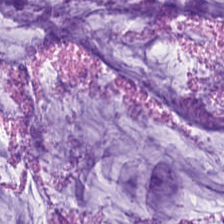H&E stain.
This patch shows mucin.
